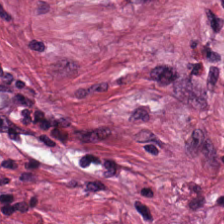Hematoxylin and eosin.
Finding → tumor stroma.
